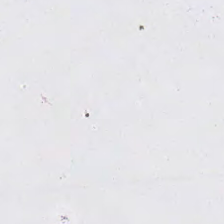Background — no tissue in this field.
